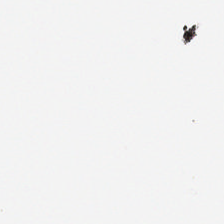224×224 pixel tile; FFPE tissue section; H&E-stained tissue section. Content — background.
